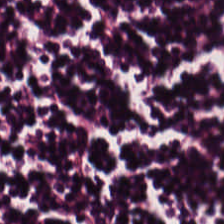H&E — Predominantly lymphocytes.
